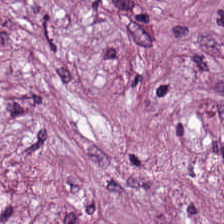FFPE tissue section. H&E stain.
The tissue type is desmoplastic stroma.
